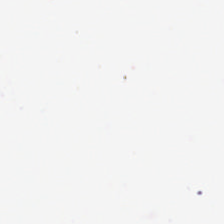224×224 px tile. H&E-stained tissue section. FFPE. Q: Classify this patch.
A: It is no tissue.
